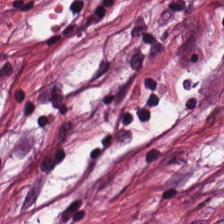224×224 px patch · brightfield microscopy · hematoxylin and eosin. The tissue class is cancer-associated stroma.
